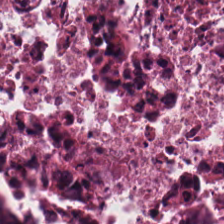The predominant tissue is debris.
